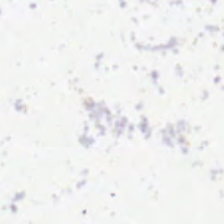224×224 px patch. H&E — {"content": "background"}
